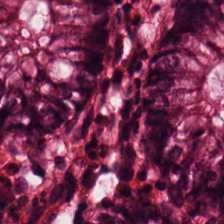H&E stain · WSI patch.
This patch shows non-neoplastic colon mucosa.
